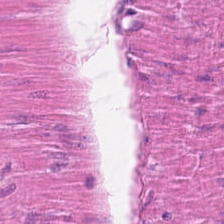H&E stain — This field is smooth-muscle tissue.
